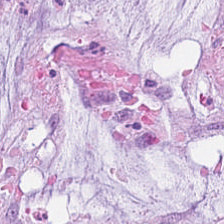Stain: H&E stain.
Preparation: FFPE tissue section.
Tile size: 224×224 px tile.
Predominant tissue: mucin.
